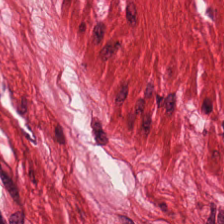Hematoxylin and eosin · 224×224 px tile — Showing smooth-muscle tissue.
